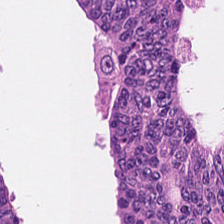Stain: hematoxylin and eosin.
Predominant tissue: adenocarcinoma.
